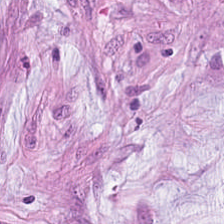H&E-stained section; the field shows mucin.
